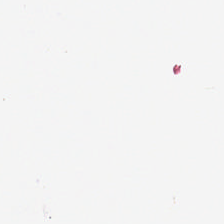Hematoxylin-and-eosin stained section.
Field content: no tissue.
